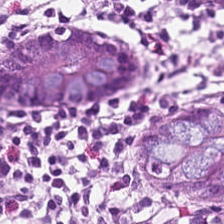Stain: hematoxylin-and-eosin stained section.
Resolution: 0.5 µm/px.
Tissue class: benign colonic mucosa.
